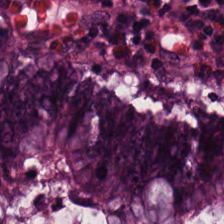H&E stain — {"tissue_type": "benign colonic mucosa"}
